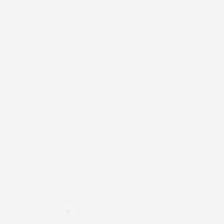H&E-stained tissue section. Empty background.
